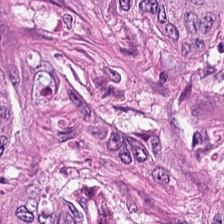Tissue class — adenocarcinoma.
